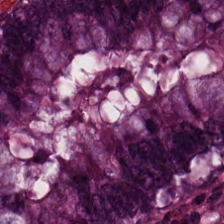Normal colonic mucosa.
